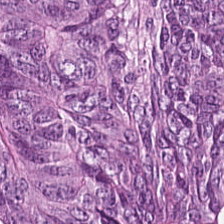Classification: malignant epithelium.
